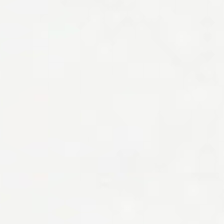Stain: H&E-stained tissue section.
Resolution: 0.5 µm per pixel.
Field content: background (no tissue).
